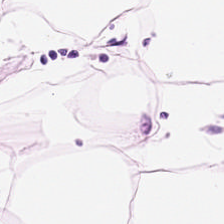H&E stain.
Fat tissue.
